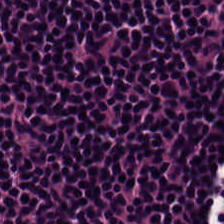H&E stain — The predominant tissue is lymphocyte aggregate.
